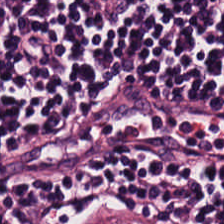H&E-stained tissue section.
The predominant tissue is lymphocyte aggregate.
